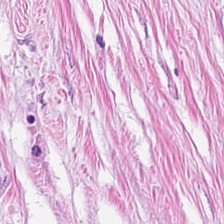Hematoxylin-and-eosin section: tumor stroma.
